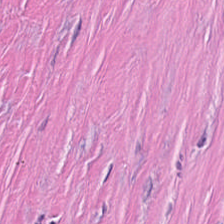H&E-stained tissue section. 0.5 µm per pixel — {"tissue_type": "tumor-associated stroma"}
